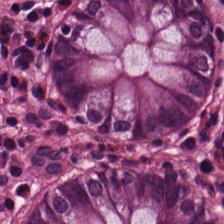H&E stain. Brightfield. 224×224 px patch.
The predominant tissue is non-neoplastic colon mucosa.
